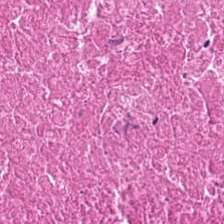Hematoxylin-and-eosin stained section · 0.5 µm/px · whole-slide-image patch — The tissue here is debris.
